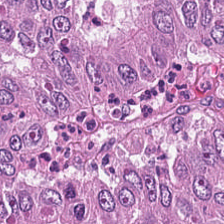0.5 µm/px; hematoxylin-and-eosin stained section.
This patch shows colorectal adenocarcinoma.
